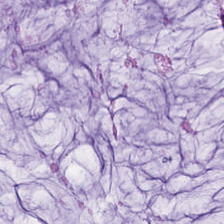Hematoxylin and eosin — This field is mucin.
